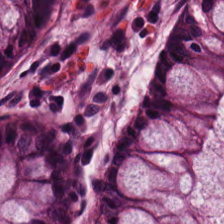Hematoxylin and eosin. Tissue class — normal colon mucosa.
